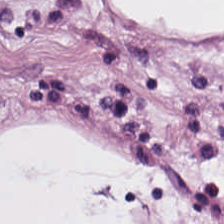H&E stain — Finding — adipose.
